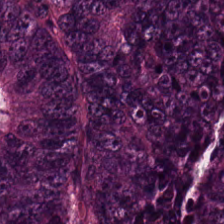H&E.
Malignant epithelium.
